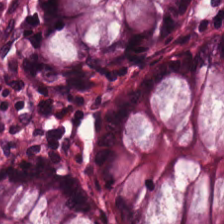Hematoxylin-and-eosin stained section.
The tissue here is normal colon mucosa.
